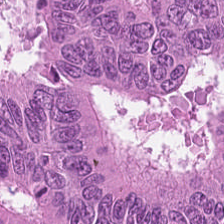Hematoxylin-and-eosin stained section. Finding → adenocarcinoma.
